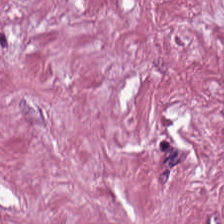Stain: hematoxylin-and-eosin stained section.
Tissue class: tumor stroma.
